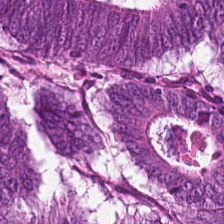Impression → malignant epithelium.
